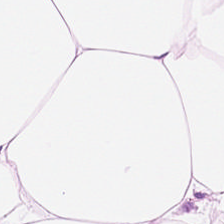224×224 pixel tile; hematoxylin-and-eosin stained section; 0.5 microns per pixel — Tissue: adipose.
